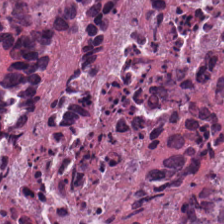Hematoxylin-and-eosin stained section — Classification = necrotic debris.
